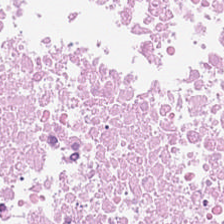224×224 px patch · 0.5 µm/px · hematoxylin and eosin.
The tissue here is necrotic debris.
